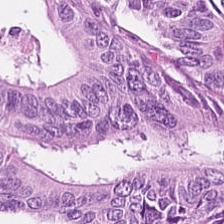Stain: H&E-stained tissue section.
Tissue class: colorectal adenocarcinoma.
